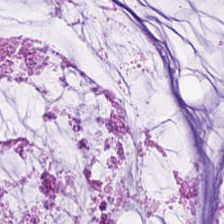H&E-stained tissue section.
Extracellular mucin.
